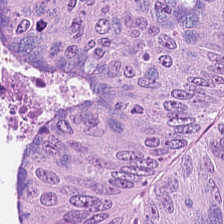Hematoxylin and eosin.
This field is colorectal adenocarcinoma epithelium.
